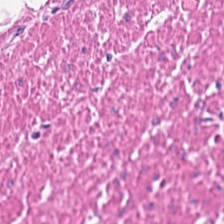20× equivalent magnification. H&E stain. 224×224 px tile. Impression — smooth muscle.
